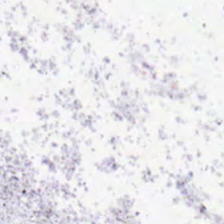Content: background.
